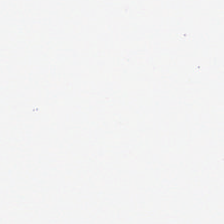H&E · FFPE. {"content": "background (no tissue)"}
